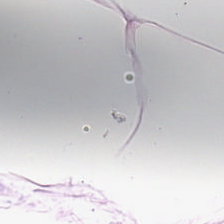Hematoxylin and eosin. {"tissue_type": "adipose"}
